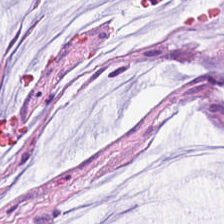H&E.
Showing mucus.
